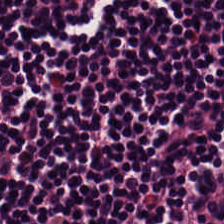H&E stain — Classification: lymphocytic infiltrate.
